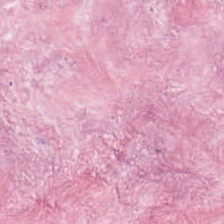Hematoxylin-and-eosin stained section — Tumor stroma.
